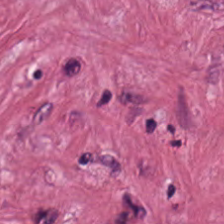H&E stain.
Predominant tissue — tumor stroma.
